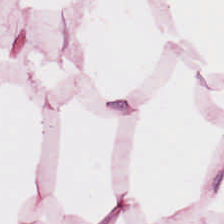The tissue type is adipose.
